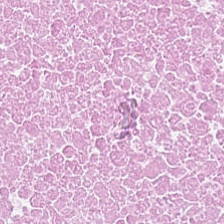Hematoxylin-and-eosin stained section · 224×224 px tile.
Classification: cellular debris.
